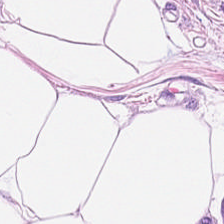Formalin-fixed paraffin-embedded section. Hematoxylin and eosin — Classification: fat tissue.
